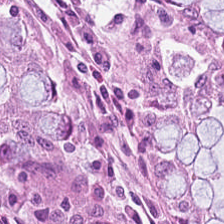224×224 px tile · H&E. Tissue class: normal colon mucosa.
